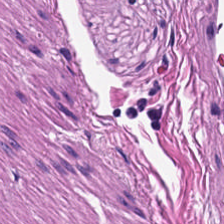0.5 µm/px · brightfield · H&E stain.
The tissue here is smooth muscle.
